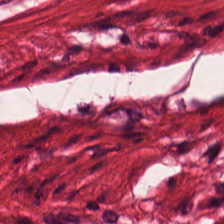Predominant tissue: smooth-muscle tissue.
